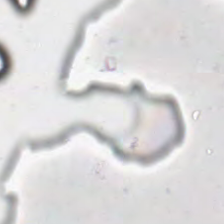Hematoxylin-and-eosin stained section.
Content = background (no tissue).
